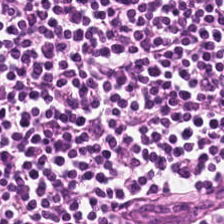H&E · 224×224 pixel tile — Lymphocytic infiltrate.
